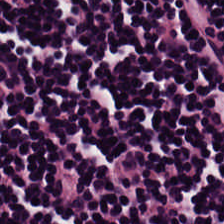Stain: H&E stain.
Acquisition: WSI patch.
Tissue: lymphocytes.
